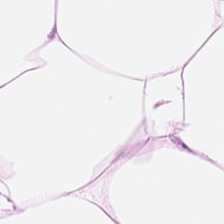FFPE; H&E stain — The tissue class is adipose.
